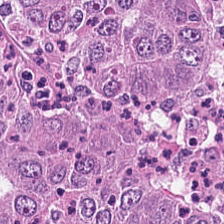Formalin-fixed paraffin-embedded section · hematoxylin-and-eosin stained section.
Q: Classify this patch.
A: The field shows colorectal adenocarcinoma epithelium.
